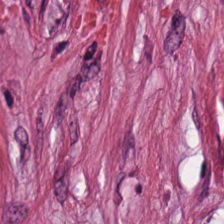This patch shows cancer-associated stroma.
